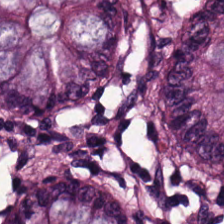224×224 px patch; hematoxylin and eosin.
The tissue here is normal colonic mucosa.
